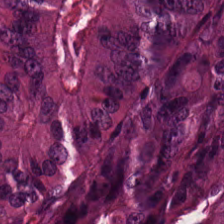H&E stain · formalin-fixed paraffin-embedded section · 224×224 pixel tile.
Q: What tissue type is shown here?
A: This is colorectal adenocarcinoma epithelium.
